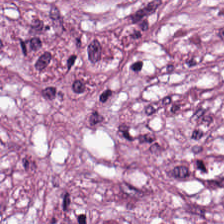Desmoplastic stroma.
